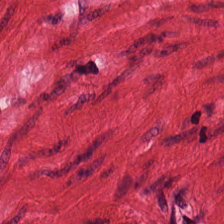Finding — smooth muscle.
